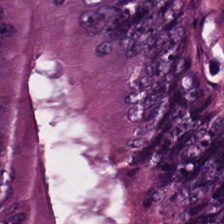H&E-stained tissue section.
Predominantly colorectal adenocarcinoma.
